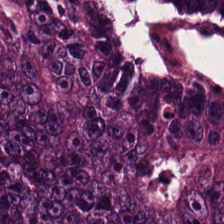H&E stain.
The tissue class is adenocarcinoma.
